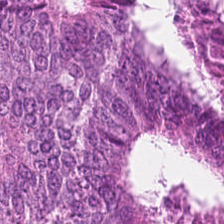Hematoxylin and eosin.
Colorectal adenocarcinoma.
